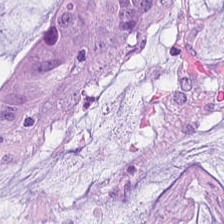Histology — mucin.
